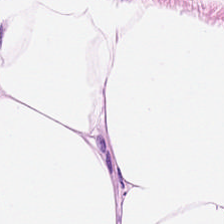Hematoxylin-and-eosin stained section.
This field is adipose tissue.
